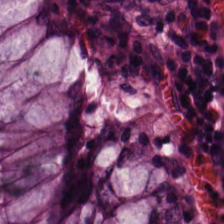Tissue = normal colonic mucosa.
